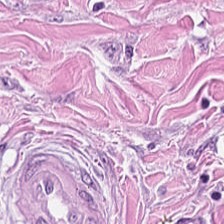Histology — cancer-associated stroma.
